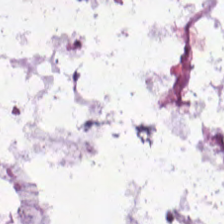{"tissue_type": "mucin"}
